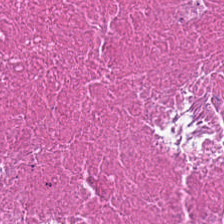Hematoxylin-and-eosin stained section.
This field is cellular debris.
